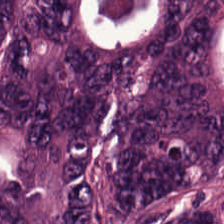Hematoxylin and eosin. Brightfield microscopy. 224×224 pixel tile.
Showing adenocarcinoma.
